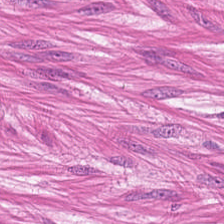H&E — muscularis.
